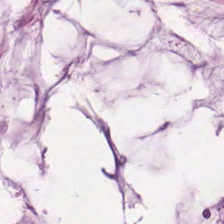{"tissue_type": "mucin"}
